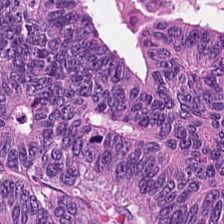Hematoxylin and eosin. The predominant tissue is adenocarcinoma.
